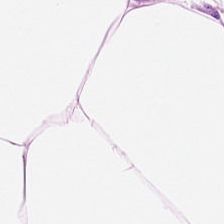224×224 px patch; brightfield microscopy; H&E. {"tissue_type": "fat tissue"}
